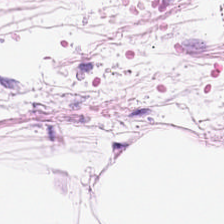{"tissue_type": "adipose tissue"}
